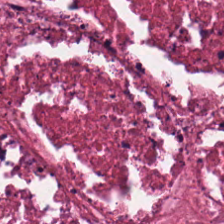Predominant tissue: debris.
